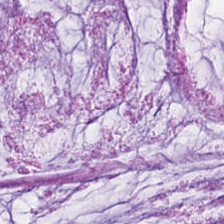Hematoxylin-and-eosin stained section — Predominantly extracellular mucin.
